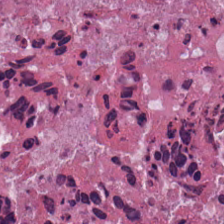Hematoxylin and eosin — Q: What is shown here?
A: Necrotic debris.
